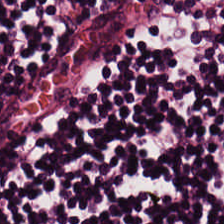Brightfield microscopy; FFPE; hematoxylin-and-eosin stained section — Impression — lymphocytic infiltrate.
